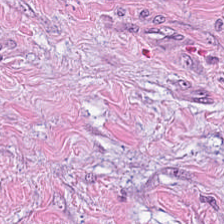Hematoxylin-and-eosin stained section.
Q: What is shown here?
A: Desmoplastic stroma.
